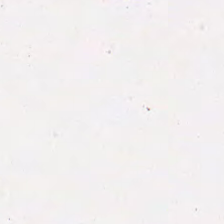Hematoxylin and eosin; brightfield. Debris.
